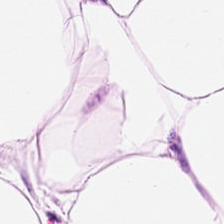H&E stain.
This field is adipose tissue.
